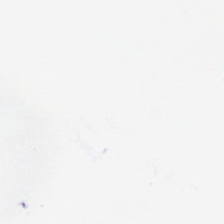The field content is background.
